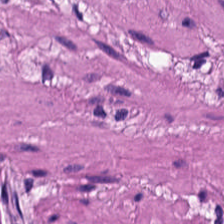H&E. This field is muscularis.
